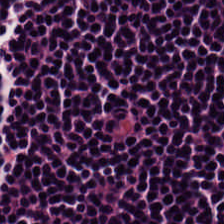H&E; 0.5 µm per pixel; WSI patch. The tissue class is lymphocytes.
